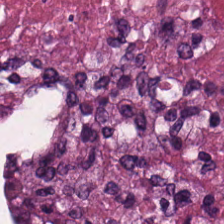H&E — necrotic debris.
